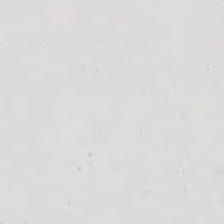H&E stain.
No tissue present; background only.
